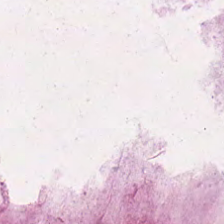H&E-stained tissue section showing mucus.
